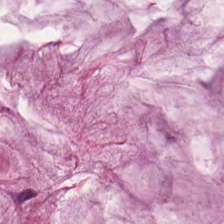Stain: hematoxylin and eosin.
Tissue class: extracellular mucin.
